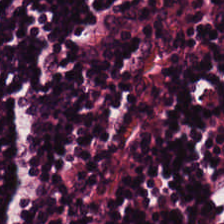H&E stain; FFPE.
Showing lymphoid infiltrate.
